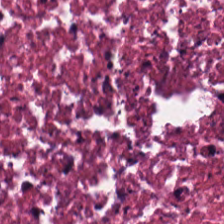H&E-stained section; the field shows cellular debris.
